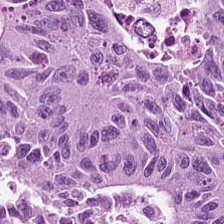Q: Identify the tissue.
A: It is colorectal adenocarcinoma epithelium.
